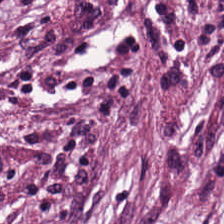Brightfield microscopy. Formalin-fixed paraffin-embedded section. H&E-stained tissue section.
The tissue here is cancer-associated stroma.
